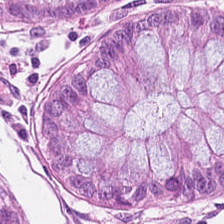FFPE tissue section. Hematoxylin-and-eosin stained section — Q: What type of tissue is this?
A: It is normal colonic mucosa.
